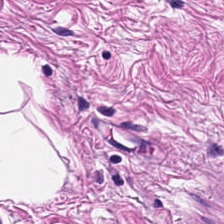Predominant tissue — smooth-muscle tissue.
